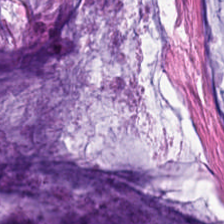0.5 µm per pixel; 224×224 px patch; hematoxylin and eosin.
Tissue type: extracellular mucin.
